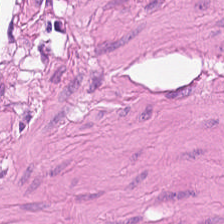Stain: H&E.
Tissue: smooth muscle.
